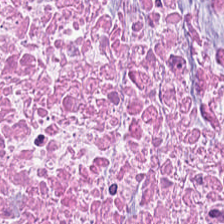WSI patch; hematoxylin and eosin.
Tissue type: necrotic debris.
